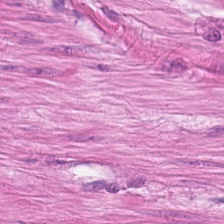FFPE · H&E-stained tissue section — Tissue: smooth muscle.
